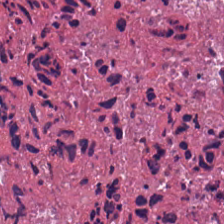Histology — necrotic debris.
